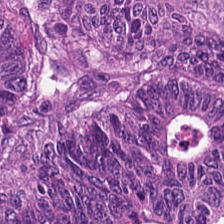0.5 µm per pixel. Formalin-fixed paraffin-embedded section. H&E-stained tissue section — This field is malignant epithelium.
